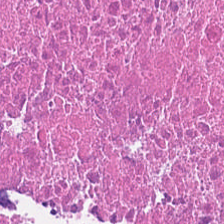H&E stain — Predominant tissue — debris.
